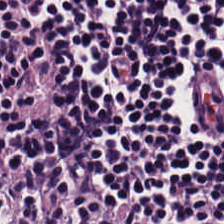0.5 µm/px; hematoxylin-and-eosin stained section. {"tissue_type": "lymphocytic infiltrate"}
